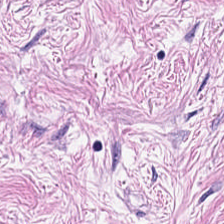Stain: H&E-stained tissue section.
Tile size: 224×224 px patch.
Predominant tissue: tumor stroma.
